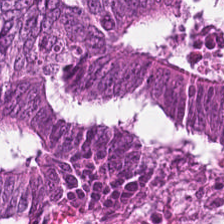FFPE tissue section. Hematoxylin-and-eosin stained section. Predominantly adenocarcinoma.
